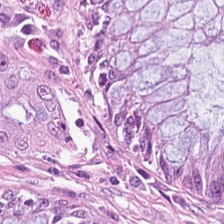Hematoxylin-and-eosin stained section · 0.5 µm/px · brightfield microscopy — Normal colon mucosa.
